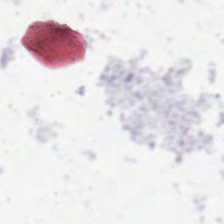Empty field — background.
